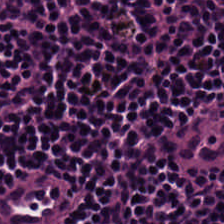Hematoxylin-and-eosin stained section. The tissue type is lymphocyte aggregate.
